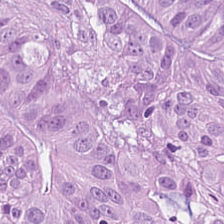H&E. Tissue: adenocarcinoma.
